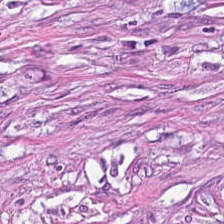H&E.
Q: What type of tissue is this?
A: This is tumor stroma.
